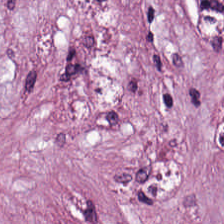Finding — cancer-associated stroma.
